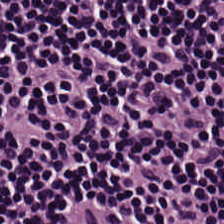Stain: H&E.
Classification: lymphocytes.
